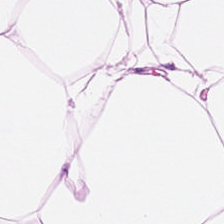The predominant tissue is adipose.
